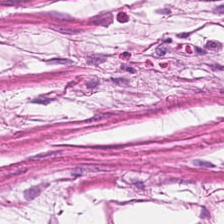Hematoxylin and eosin — Finding → muscularis.
